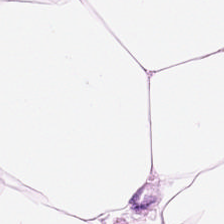Stain: hematoxylin and eosin.
Classification: adipose tissue.
